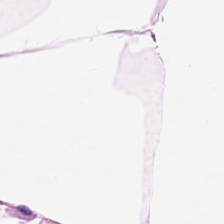FFPE tissue section · hematoxylin-and-eosin stained section · 224×224 px patch — This patch shows adipose.
